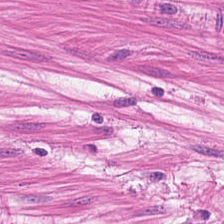H&E stain — Q: Classify this patch.
A: It is muscularis.
